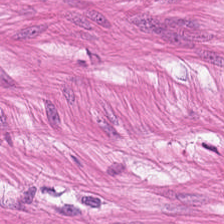The tissue type is smooth muscle.
